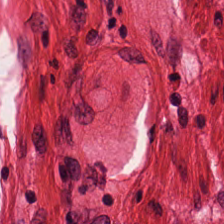This patch shows smooth-muscle tissue.
